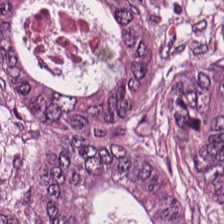H&E stain. Predominantly adenocarcinoma.
